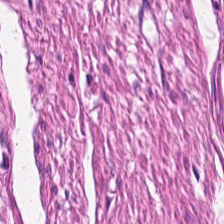Hematoxylin-and-eosin stained section. FFPE. Smooth muscle.
